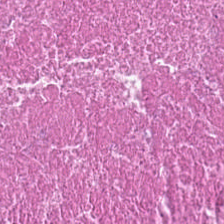Stain: H&E stain.
Acquisition: WSI patch.
Tissue: debris.
